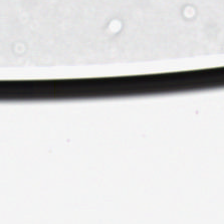Stain: H&E stain.
Field content: no tissue.
